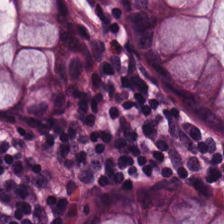Normal colon mucosa.
